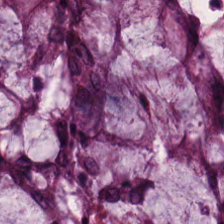H&E patch showing normal colon mucosa.
